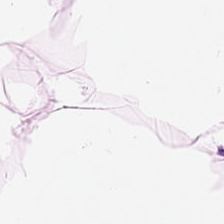Hematoxylin-and-eosin stained section · 224×224 px tile. Showing fat tissue.
